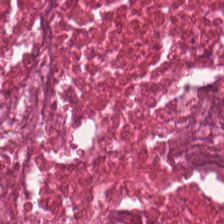Brightfield. H&E-stained tissue section — This patch shows debris.
